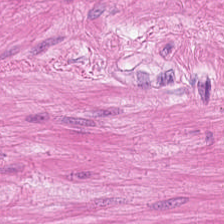Classification: smooth-muscle tissue.
